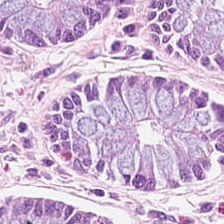FFPE tissue section · whole-slide-image patch · H&E-stained tissue section. Showing normal colonic mucosa.
